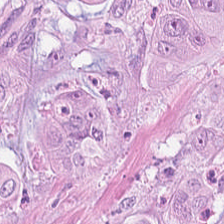H&E-stained tissue section · formalin-fixed paraffin-embedded section.
Tissue type — colorectal adenocarcinoma.
